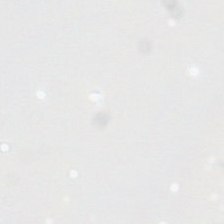Stain: hematoxylin and eosin.
Classification: no tissue.
